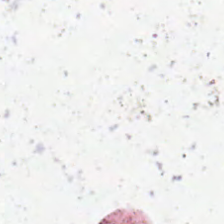{"content": "background (no tissue)"}
